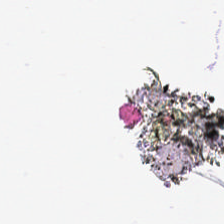224×224 pixel tile. H&E stain. Q: What does this patch show?
A: The field shows background.
